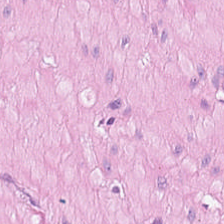H&E; FFPE. Q: What tissue type is shown here?
A: Smooth muscle.
